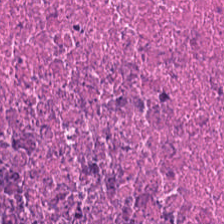224×224 px tile. H&E stain. Formalin-fixed paraffin-embedded section. The tissue here is cellular debris.
